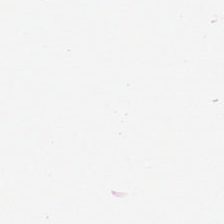Stain: H&E.
Tissue: adipose.
